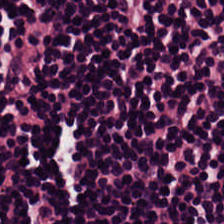Stain: hematoxylin-and-eosin stained section.
Classification: lymphocytes.
